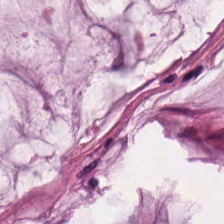Tissue type = mucus.
